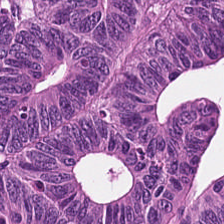Hematoxylin and eosin — Impression → tumor epithelium.
